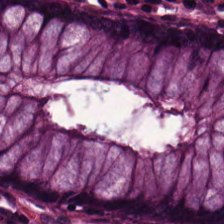H&E — Q: What tissue type is shown here?
A: This is benign colonic mucosa.
